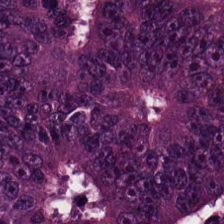H&E · 224×224 px patch — {"tissue_type": "adenocarcinoma"}
